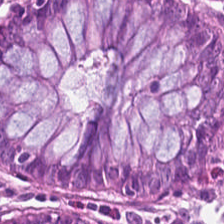H&E-stained tissue section. 20× equivalent magnification. {"tissue_type": "benign colonic mucosa"}
